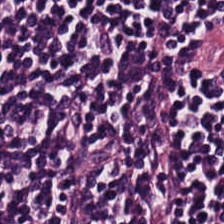0.5 microns per pixel · H&E-stained tissue section · whole-slide-image patch.
Finding → lymphoid infiltrate.
